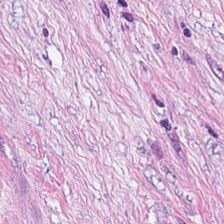Q: Classify this patch.
A: Tumor-associated stroma.
